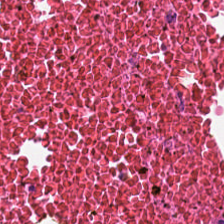Hematoxylin and eosin · FFPE · 20× equivalent magnification.
Classification: cellular debris.
